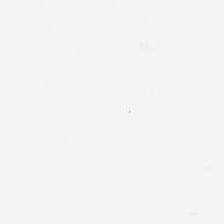Hematoxylin-and-eosin stained section — Background — no tissue in this field.
